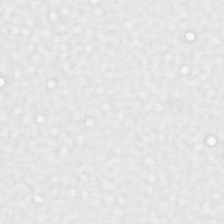H&E stain; whole-slide-image patch; 224×224 px tile — The content is empty background.
